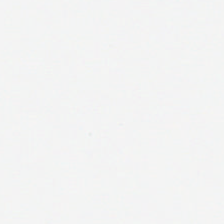H&E. Field content: background (no tissue).
